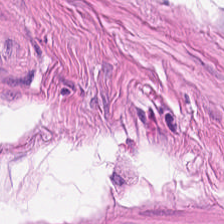Hematoxylin and eosin.
Q: What is shown here?
A: Smooth-muscle tissue.
